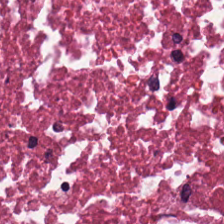The tissue type is debris.
